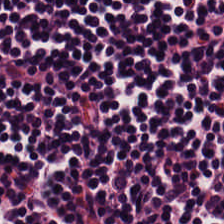The tissue here is lymphoid infiltrate.
